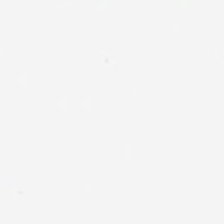Hematoxylin-and-eosin stained section — Classification = background.
